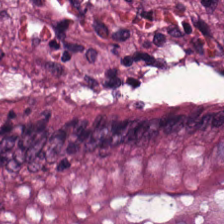H&E.
Tissue — normal colonic mucosa.
